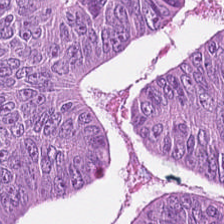H&E stain. Brightfield microscopy.
Q: What is shown in this field?
A: The field shows colorectal adenocarcinoma epithelium.
